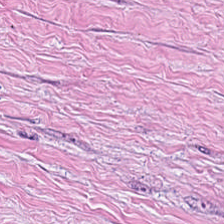20× equivalent magnification. Whole-slide-image patch. H&E-stained tissue section.
The tissue is desmoplastic stroma.
